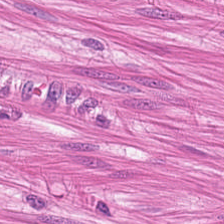Whole-slide-image patch. 0.5 µm/px. Hematoxylin and eosin. The predominant tissue is muscularis.
